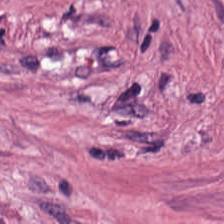Cancer-associated stroma.
